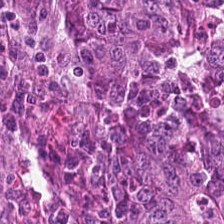Stain: H&E.
Resolution: 0.5 µm per pixel.
Preparation: formalin-fixed paraffin-embedded section.
Classification: colorectal adenocarcinoma.
